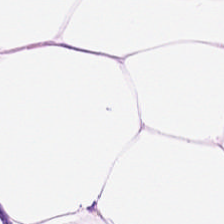Tissue — fat tissue.
